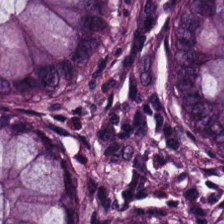H&E stain. 20× equivalent magnification.
The tissue here is non-neoplastic colon mucosa.
